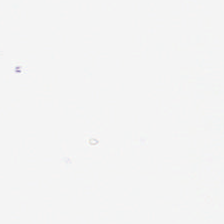H&E stain — {"content": "empty background"}
